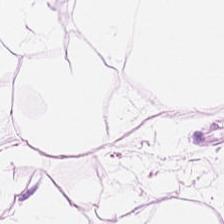Q: Classify this patch.
A: This is adipose tissue.
